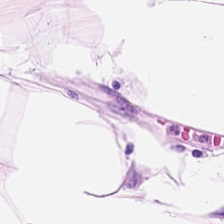Hematoxylin-and-eosin stained section.
This patch shows adipose tissue.
